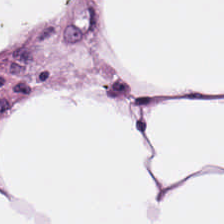H&E stain. Predominantly adipose tissue.
